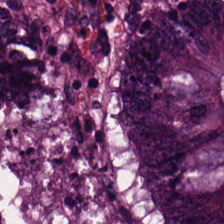H&E-stained tissue section. 224×224 pixel tile.
Q: What is shown in this field?
A: This is tumor epithelium.
